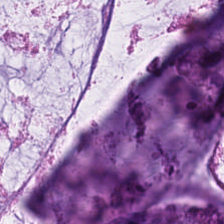H&E stain — The predominant tissue is mucin.
